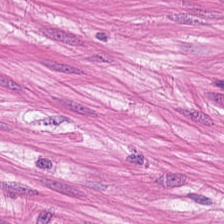Q: What tissue is shown?
A: This is muscularis.
